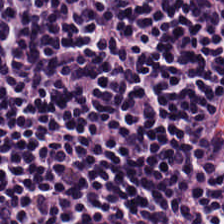Hematoxylin-and-eosin stained section — Predominantly lymphocytic infiltrate.
